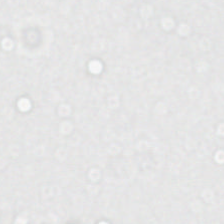H&E stain — No tissue present; background only.
